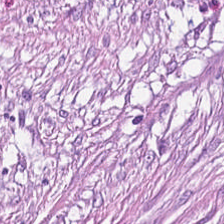The predominant tissue is cancer-associated stroma.
